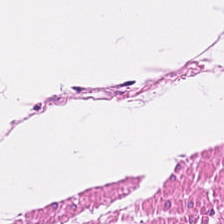224×224 px patch; 0.5 µm per pixel; H&E-stained tissue section — Q: What tissue type is shown here?
A: The field shows muscularis.
